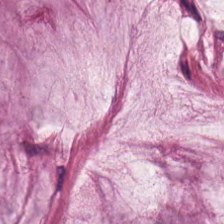Hematoxylin-and-eosin stained section. 0.5 µm/px — Q: Classify this patch.
A: It is mucus.
